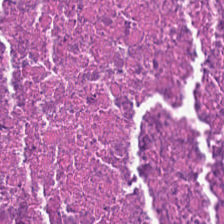H&E-stained tissue section — Tissue — debris.
